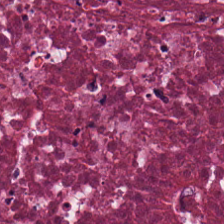Hematoxylin-and-eosin stained section. Brightfield. Q: What is shown in this field?
A: Debris.
